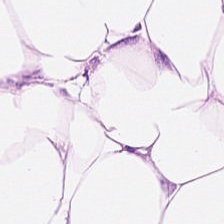224×224 pixel tile. Hematoxylin and eosin.
Fat tissue.
